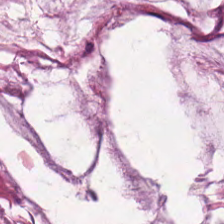Hematoxylin and eosin — Q: What is the predominant tissue type?
A: Extracellular mucin.
